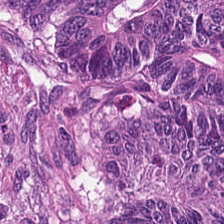H&E stain; 224×224 pixel tile. The predominant tissue is colorectal adenocarcinoma epithelium.
